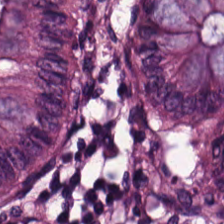Predominant tissue — normal colon mucosa.
